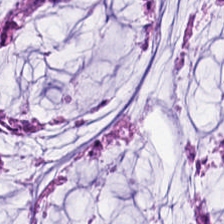Finding — extracellular mucin.
